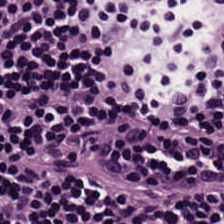Hematoxylin-and-eosin stained section. Tissue type — lymphocyte aggregate.
